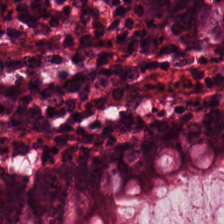Predominantly benign colonic mucosa.
